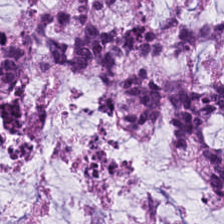The predominant tissue is mucus.
